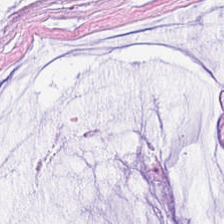Showing mucus.
